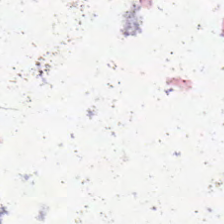{"content": "empty background"}
